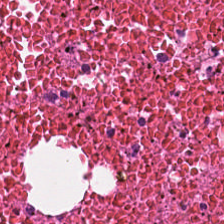224×224 px tile · H&E stain — Predominantly cellular debris.
